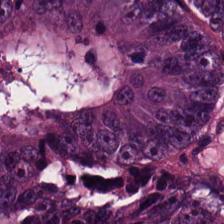H&E stain. The tissue here is colorectal adenocarcinoma epithelium.
